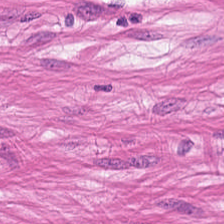H&E stain · brightfield.
The tissue here is smooth muscle.
